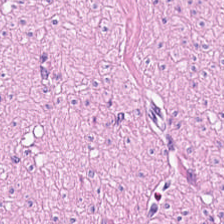Hematoxylin-and-eosin stained section; brightfield microscopy. {"tissue_type": "smooth muscle"}
